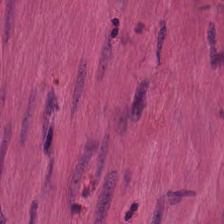Hematoxylin-and-eosin stained section. Classification — smooth muscle.
